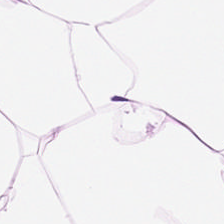Hematoxylin-and-eosin stained section. 0.5 microns per pixel — Classification — adipocytes.
